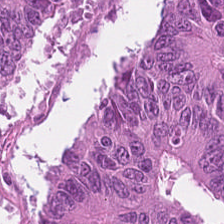20× equivalent magnification · hematoxylin and eosin · formalin-fixed paraffin-embedded section — Impression → colorectal adenocarcinoma.
